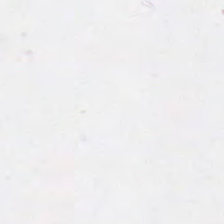Hematoxylin-and-eosin stained section.
{"content": "empty background"}
